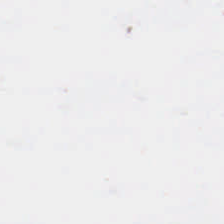H&E. Q: What is shown here?
A: The field shows no tissue.
